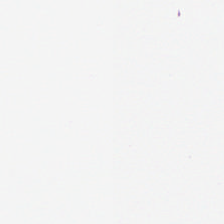H&E. Impression → background.
